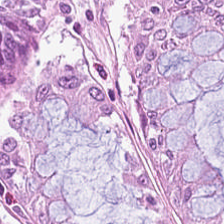Stain: H&E-stained tissue section.
Resolution: 20× equivalent magnification.
Tissue: normal colonic mucosa.
